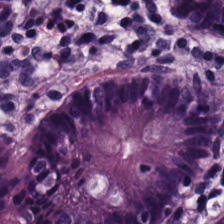H&E stain — The predominant tissue is non-neoplastic colon mucosa.
